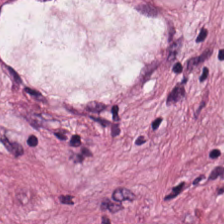H&E-stained tissue section — Q: What type of tissue is this?
A: Tumor stroma.
